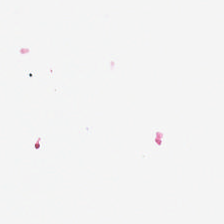H&E stain. Q: What is shown in this field?
A: This is background.
